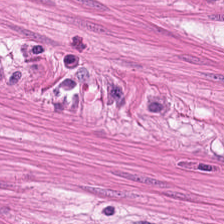Q: Identify the tissue.
A: Muscularis.
